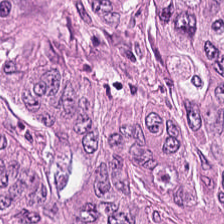Hematoxylin-and-eosin section: adenocarcinoma.
